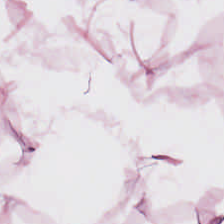224×224 pixel tile. H&E-stained tissue section. Showing adipose.
